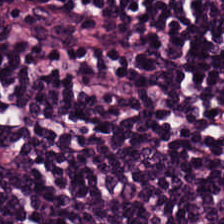Histology → lymphocyte aggregate.
